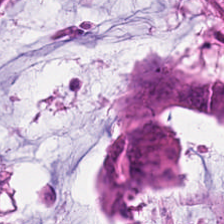Showing colorectal adenocarcinoma.
